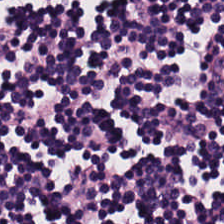Hematoxylin and eosin. Whole-slide-image patch. Formalin-fixed paraffin-embedded section.
Tissue = lymphoid infiltrate.
